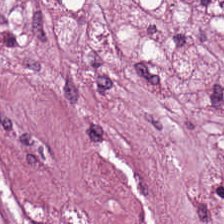Stain: H&E.
Tissue: desmoplastic stroma.
